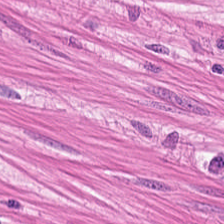Stain: hematoxylin-and-eosin stained section.
Resolution: 20× equivalent magnification.
Tissue: smooth-muscle tissue.
